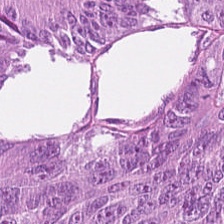FFPE; 224×224 px patch; H&E. Q: What tissue type is shown here?
A: The field shows colorectal adenocarcinoma.
